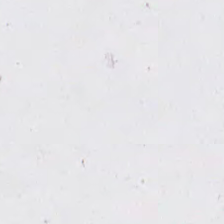Classification = no tissue.
